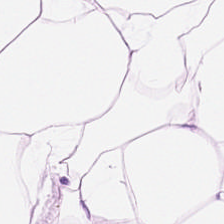Formalin-fixed paraffin-embedded section · hematoxylin-and-eosin stained section — This patch shows adipose.
